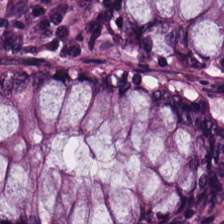Hematoxylin and eosin — The tissue here is normal colonic mucosa.
